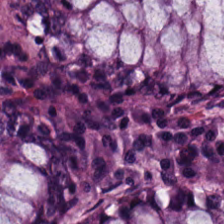H&E stain — Q: What tissue type is shown here?
A: Benign colonic mucosa.
